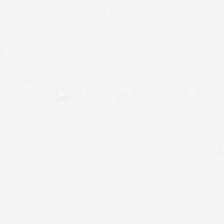Hematoxylin-and-eosin stained section — Empty background.
